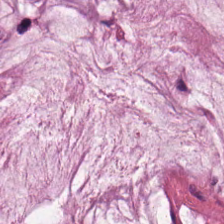Q: What is shown in this field?
A: It is mucus.
